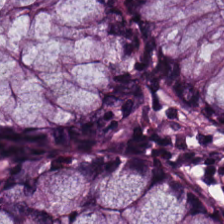H&E stain — Predominantly benign colonic mucosa.
